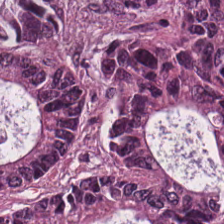H&E. 224×224 pixel tile — Q: What is shown in this field?
A: The field shows colorectal adenocarcinoma.
